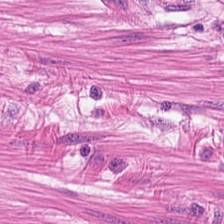Brightfield microscopy. H&E — The predominant tissue is smooth muscle.
